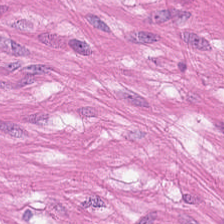H&E stain.
Finding → smooth muscle.
